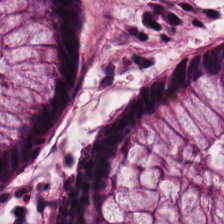H&E.
Normal colon mucosa.
